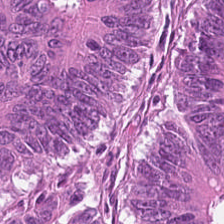224×224 px tile. Hematoxylin-and-eosin stained section. 0.5 microns per pixel — The tissue here is adenocarcinoma.
